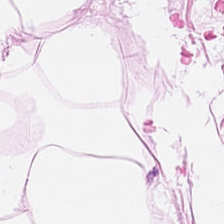Stain: hematoxylin and eosin.
Classification: adipose tissue.
